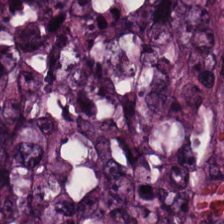Impression — adenocarcinoma.
